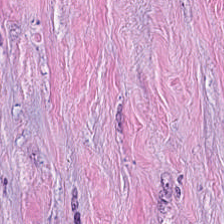Hematoxylin-and-eosin stained section.
The tissue here is tumor-associated stroma.
